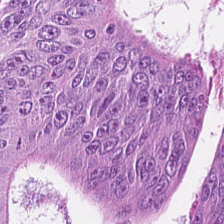Stain: hematoxylin-and-eosin stained section.
Tissue class: colorectal adenocarcinoma epithelium.
